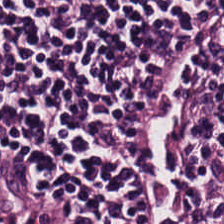0.5 microns per pixel. Hematoxylin-and-eosin stained section. FFPE tissue section. Impression → lymphocytes.
